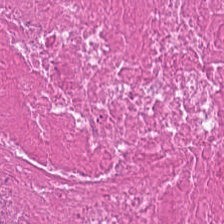H&E — Tissue type — debris.
